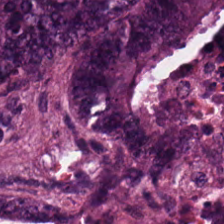0.5 µm/px · FFPE · H&E-stained tissue section.
Q: What is shown here?
A: The field shows adenocarcinoma.
